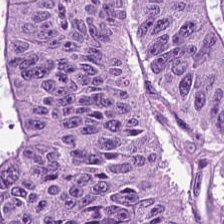H&E stain. The predominant tissue is malignant epithelium.
